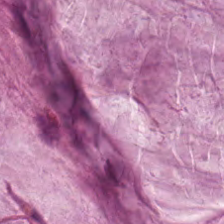Hematoxylin-and-eosin stained section · formalin-fixed paraffin-embedded section.
Extracellular mucin.
